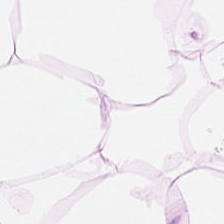{"tissue_type": "adipose"}
